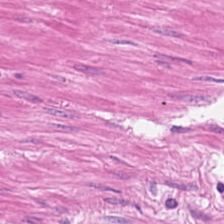Stain: H&E.
Tissue class: smooth muscle.
